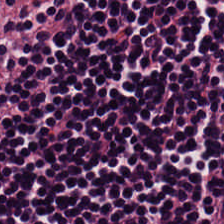H&E. Tissue class — lymphocytic infiltrate.
